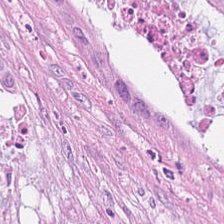H&E-stained tissue section — The tissue is tumor epithelium.
